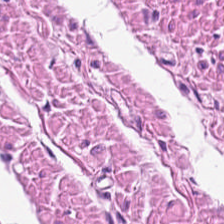H&E-stained tissue section · FFPE. This field is smooth-muscle tissue.
